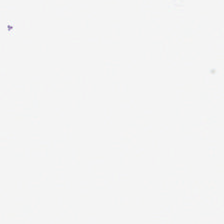224×224 px patch; H&E stain — This field is background (no tissue).
